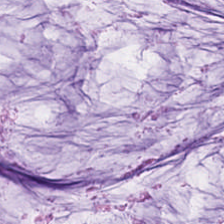FFPE; hematoxylin and eosin. Tissue class = mucin.
